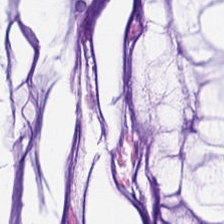FFPE. 0.5 µm/px. Hematoxylin and eosin — Q: What tissue type is shown here?
A: This is extracellular mucin.
